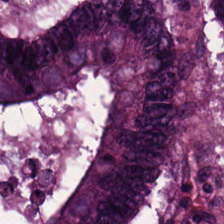FFPE · hematoxylin and eosin.
This field is adenocarcinoma.
